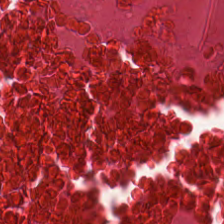Hematoxylin and eosin — The tissue here is debris.
